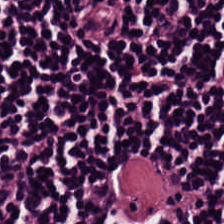Hematoxylin-and-eosin stained section — Impression — lymphoid infiltrate.
